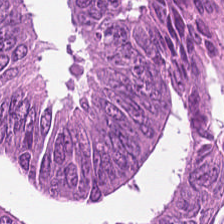This field is colorectal adenocarcinoma.
